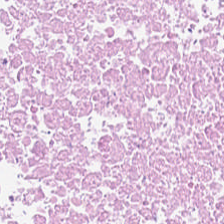H&E stain — Tissue class — debris.
